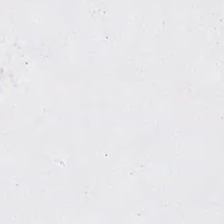Field content — no tissue.
